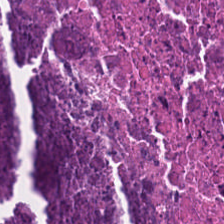H&E stain.
Tissue class — necrotic debris.
